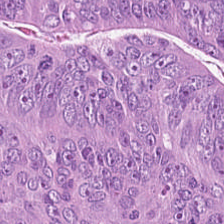0.5 µm per pixel; H&E stain.
Predominant tissue — adenocarcinoma.
